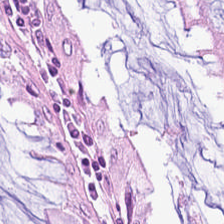Hematoxylin-and-eosin stained section — Showing normal colon mucosa.
